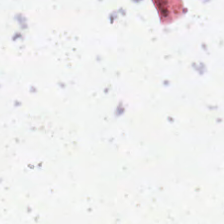H&E-stained tissue section.
This patch shows background (no tissue).
